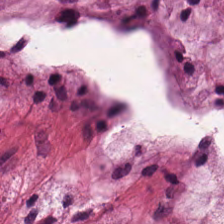Stain: H&E.
Predominant tissue: extracellular mucin.
